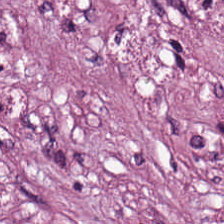0.5 microns per pixel. Hematoxylin-and-eosin stained section. Tissue class: tumor stroma.
